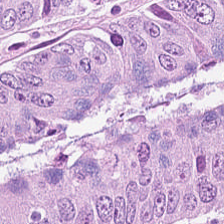Showing malignant epithelium.
